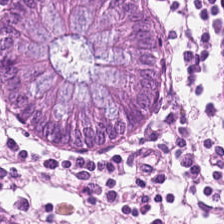0.5 microns per pixel · H&E-stained tissue section. Tissue class: non-neoplastic colon mucosa.
